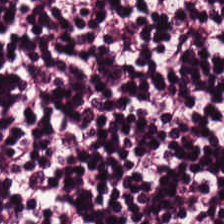H&E stain. 224×224 px tile. Q: What tissue is shown?
A: The field shows lymphocytes.
